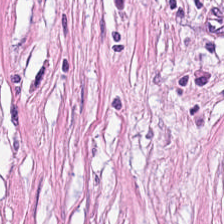Stain: hematoxylin-and-eosin stained section.
Resolution: 0.5 µm/px.
Tile size: 224×224 px patch.
Predominant tissue: desmoplastic stroma.
